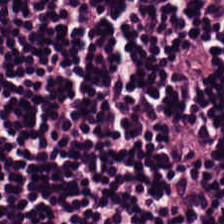H&E · FFPE. Lymphocytic infiltrate.
